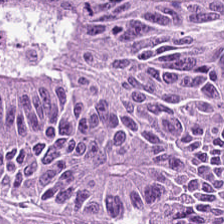Stain: H&E-stained tissue section.
Predominant tissue: malignant epithelium.
